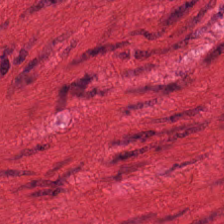H&E stain. Finding → smooth-muscle tissue.
